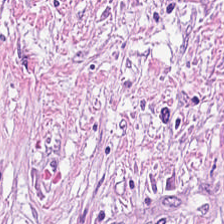Q: What is shown in this field?
A: This is tumor-associated stroma.
